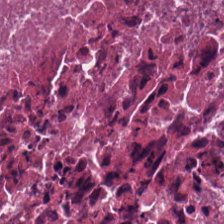The predominant tissue is necrotic debris.
